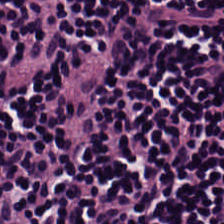Hematoxylin and eosin — The classification is lymphocyte aggregate.
